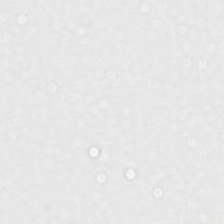H&E stain · FFPE tissue section — Background.
